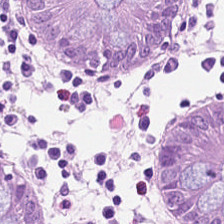H&E · 20× equivalent magnification · 224×224 px tile — This patch shows benign colonic mucosa.
